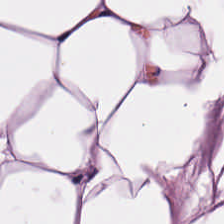Hematoxylin and eosin — Q: What is shown here?
A: Adipose.
